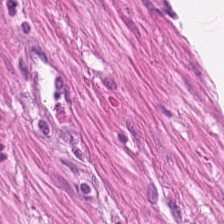Stain: H&E-stained tissue section.
Predominant tissue: muscularis.
